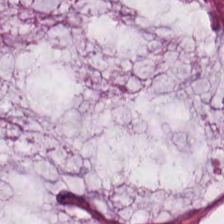H&E; FFPE tissue section; 20× equivalent magnification.
Impression → mucus.
